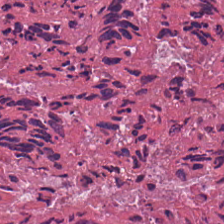Hematoxylin-and-eosin stained section; 224×224 px tile; FFPE tissue section.
Q: What tissue is shown?
A: The field shows necrotic debris.
